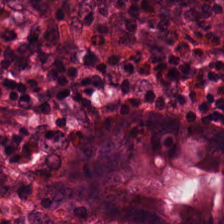Hematoxylin and eosin.
Non-neoplastic colon mucosa.
